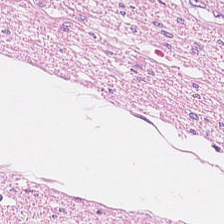This field is smooth muscle.
